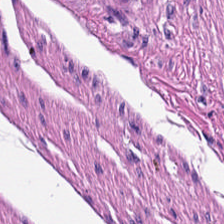H&E stain. 20× equivalent magnification. Formalin-fixed paraffin-embedded section.
Finding — smooth muscle.
